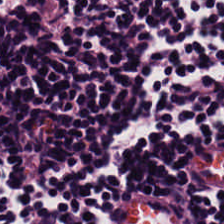H&E.
The predominant tissue is lymphocyte aggregate.
